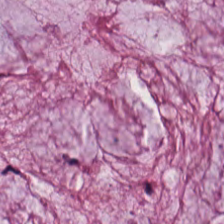H&E-stained tissue section.
This field is extracellular mucin.
